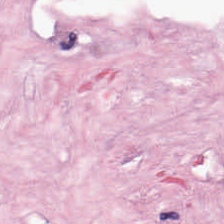Hematoxylin-and-eosin stained section; formalin-fixed paraffin-embedded section; 0.5 µm/px. The tissue here is tumor-associated stroma.
